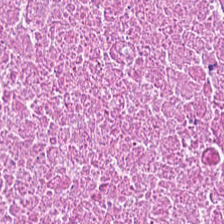H&E. The predominant tissue is debris.
